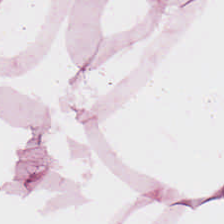Brightfield · H&E-stained tissue section · FFPE — Showing adipose.
